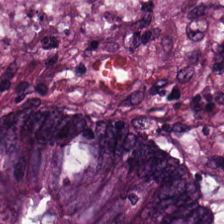H&E stain. Tissue type — tumor epithelium.
